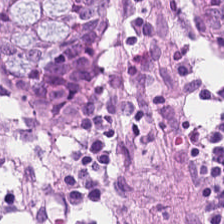Impression — normal colonic mucosa.
